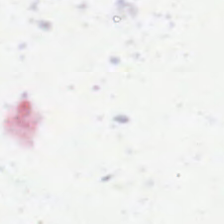Hematoxylin-and-eosin stained section — This patch shows background.
